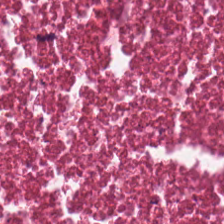Hematoxylin and eosin.
Showing necrotic debris.
